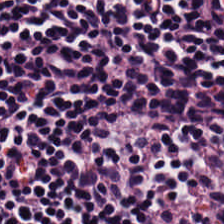Brightfield microscopy · formalin-fixed paraffin-embedded section · hematoxylin and eosin. Q: What is shown here?
A: This is lymphocyte aggregate.
